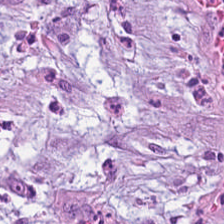The classification is cancer-associated stroma.
